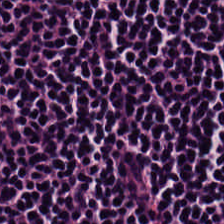This patch shows lymphocytic infiltrate.
